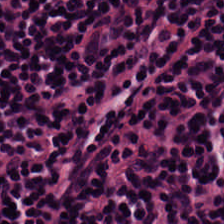Hematoxylin-and-eosin stained section.
The predominant tissue is lymphocyte aggregate.
